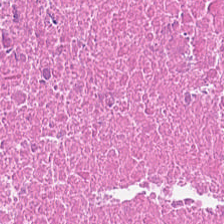H&E. The tissue here is necrotic debris.
